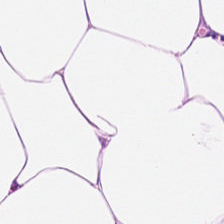Hematoxylin-and-eosin section: fat tissue.
